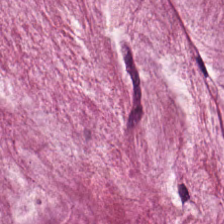H&E. Q: What type of tissue is this?
A: The field shows mucus.
